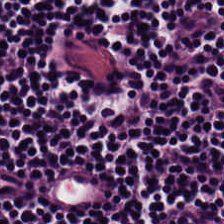Stain: H&E stain.
Resolution: 0.5 µm/px.
Acquisition: whole-slide-image patch.
Classification: lymphoid infiltrate.
